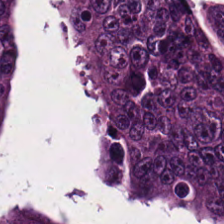Stain: hematoxylin-and-eosin stained section.
Tissue class: tumor epithelium.
